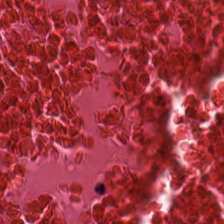224×224 pixel tile. H&E stain — Tissue type: necrotic debris.
